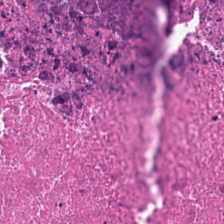Q: What is shown here?
A: Cellular debris.
